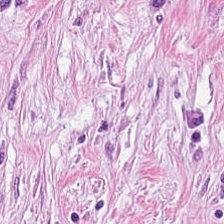H&E-stained tissue section. WSI patch — Histology → cancer-associated stroma.
